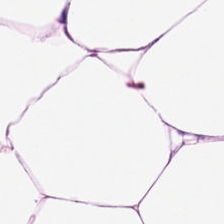H&E stain; 20× equivalent magnification — The predominant tissue is adipocytes.
